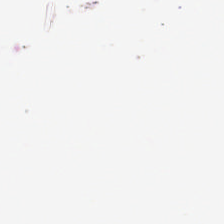H&E-stained tissue section. 0.5 µm per pixel. This patch shows background (no tissue).
